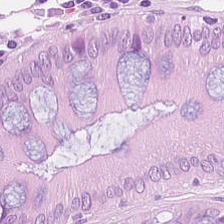H&E-stained tissue section showing normal colon mucosa.
